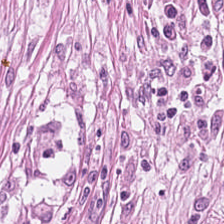224×224 px patch. H&E. 0.5 µm per pixel — Predominant tissue — cancer-associated stroma.
